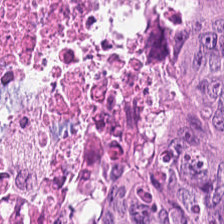H&E; FFPE — Finding → malignant epithelium.
